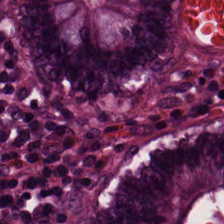{"tissue_type": "normal colonic mucosa"}
